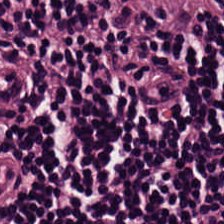H&E stain — Predominantly lymphocytes.
